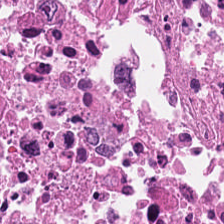H&E.
This field is cellular debris.
